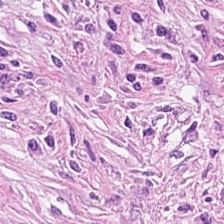Hematoxylin and eosin. 0.5 µm per pixel.
This patch shows tumor-associated stroma.
